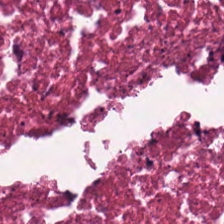Stain: hematoxylin-and-eosin stained section.
Acquisition: WSI patch.
Classification: debris.
